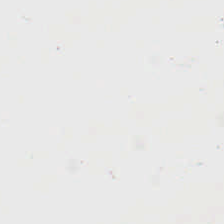Background — no tissue in this field.
